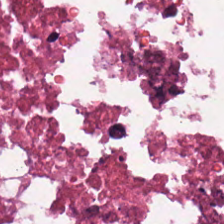H&E patch showing cellular debris.
